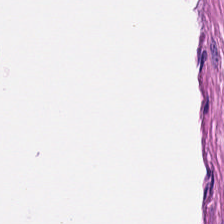H&E-stained tissue section — This field is smooth muscle.
